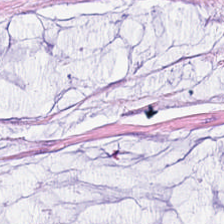This field is mucin.
